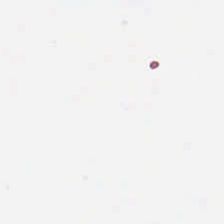Hematoxylin-and-eosin stained section — Empty background.
